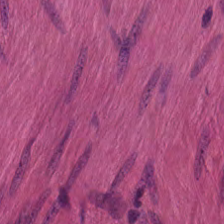Stain: H&E-stained tissue section.
Acquisition: whole-slide-image patch.
Tissue class: muscularis.
